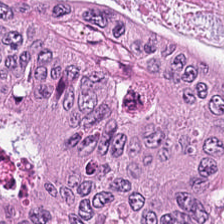FFPE tissue section; 0.5 µm/px; H&E-stained tissue section — This field is tumor epithelium.
